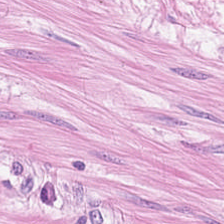H&E stain.
Predominantly smooth-muscle tissue.
